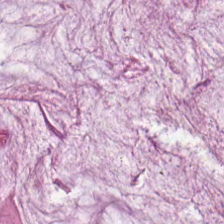224×224 px patch; H&E. Tissue class = mucin.
